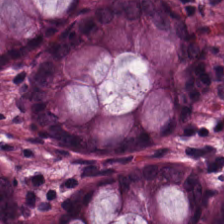Brightfield microscopy; hematoxylin-and-eosin stained section. Q: What tissue is shown?
A: Benign colonic mucosa.
